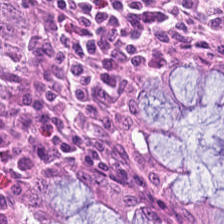Hematoxylin-and-eosin stained section — Q: What is shown in this field?
A: It is benign colonic mucosa.
